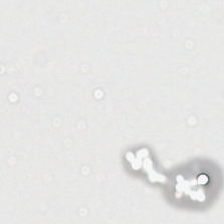This field is background (no tissue).
